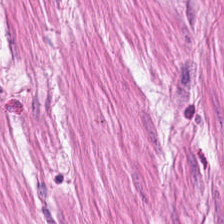H&E stain — Smooth-muscle tissue.
